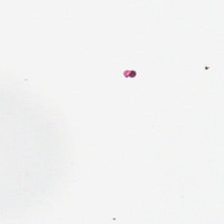Background.
